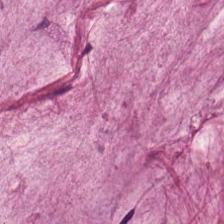Hematoxylin and eosin — The tissue class is mucin.
